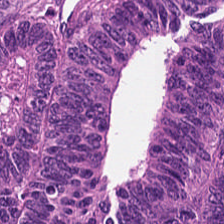H&E stain.
This field is colorectal adenocarcinoma.
